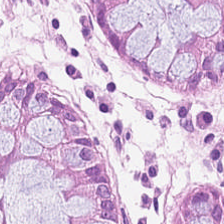224×224 px patch; formalin-fixed paraffin-embedded section; hematoxylin-and-eosin stained section. Q: What is the predominant tissue type?
A: Benign colonic mucosa.
